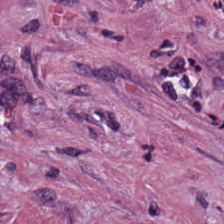H&E.
Finding → tumor stroma.
